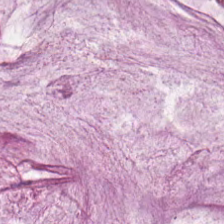Finding — mucus.
